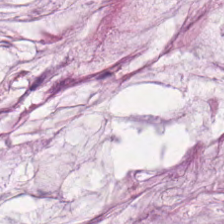H&E stain; 224×224 px patch. Q: What tissue type is shown here?
A: Extracellular mucin.
